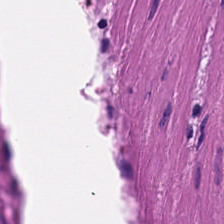224×224 pixel tile. 20× equivalent magnification. Hematoxylin and eosin — This field is muscularis.
